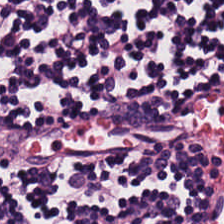Hematoxylin-and-eosin stained section — Finding → lymphocytes.
